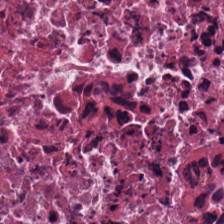Impression — cellular debris.
